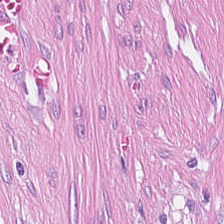224×224 px tile. FFPE. H&E stain.
This patch shows desmoplastic stroma.
